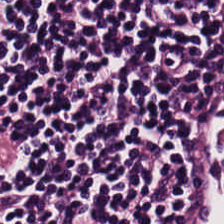H&E · FFPE · brightfield microscopy. Classification = lymphocytic infiltrate.
